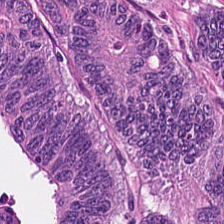Hematoxylin-and-eosin stained section · FFPE · 0.5 microns per pixel — The tissue here is malignant epithelium.
